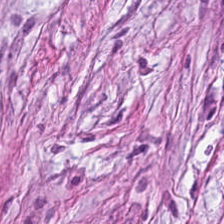H&E stain.
Q: Identify the tissue.
A: Cancer-associated stroma.
